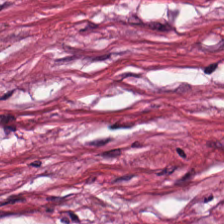Whole-slide-image patch. 0.5 microns per pixel. H&E-stained tissue section. Predominantly tumor-associated stroma.
